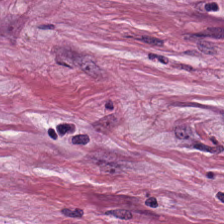H&E.
Q: What is shown in this field?
A: This is cancer-associated stroma.
